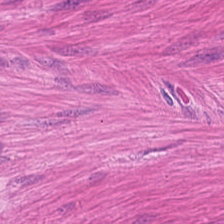This patch shows smooth-muscle tissue.
